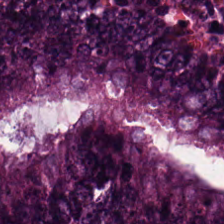{"tissue_type": "adenocarcinoma"}
